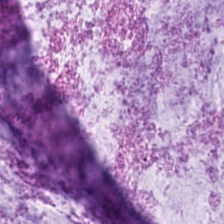H&E-stained tissue section — Tissue: mucin.
